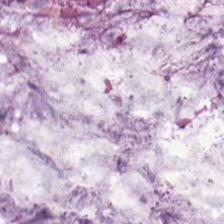224×224 pixel tile; formalin-fixed paraffin-embedded section; hematoxylin and eosin. Finding — mucus.
